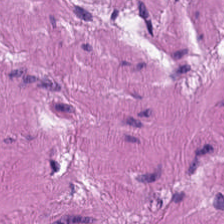Tissue — muscularis.
